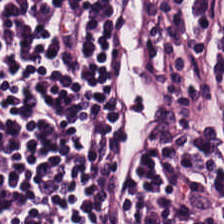H&E-stained tissue section.
This field is lymphoid infiltrate.
